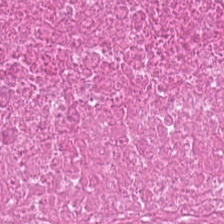H&E-stained tissue section · brightfield microscopy.
Histology → debris.
